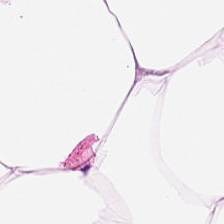Stain: hematoxylin-and-eosin stained section.
Tissue class: adipose tissue.
